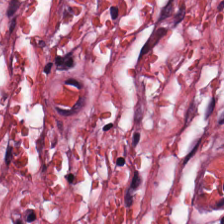Stain: H&E-stained tissue section.
Classification: cancer-associated stroma.
